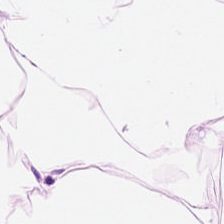Hematoxylin-and-eosin stained section · 20× equivalent magnification — {"tissue_type": "fat tissue"}
